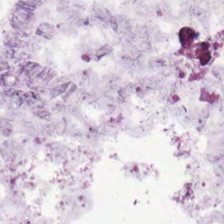Tissue class — mucin.
